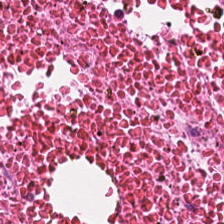H&E-stained tissue section showing necrotic debris.
